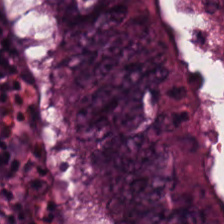H&E-stained tissue section. FFPE. Whole-slide-image patch. Impression — adenocarcinoma.
